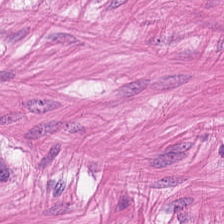Predominantly muscularis.
